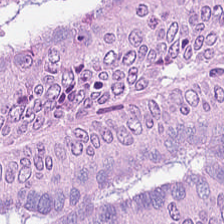Q: Identify the tissue.
A: The field shows colorectal adenocarcinoma epithelium.
